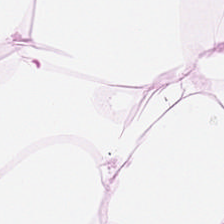H&E stain.
This field is fat tissue.
